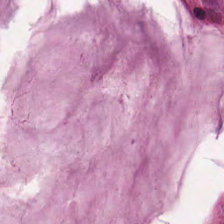Hematoxylin-and-eosin stained section.
This field is extracellular mucin.
